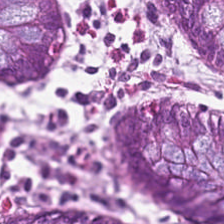H&E; 224×224 px patch; brightfield microscopy.
Tissue class: benign colonic mucosa.
